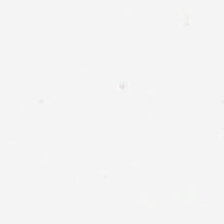Stain: H&E-stained tissue section.
Preparation: formalin-fixed paraffin-embedded section.
Field content: background (no tissue).
